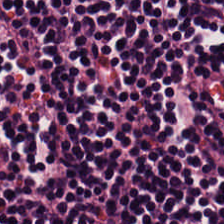0.5 µm/px · hematoxylin-and-eosin stained section — Impression → lymphoid infiltrate.
